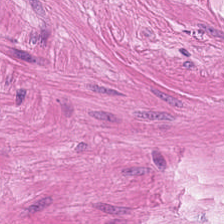H&E-stained tissue section — Impression → smooth-muscle tissue.
